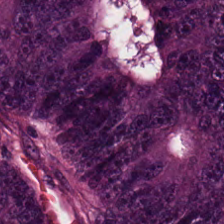Hematoxylin-and-eosin stained section.
Classification = adenocarcinoma.
